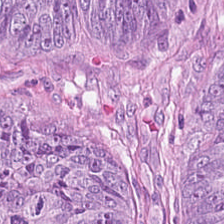Tissue class: tumor epithelium.
